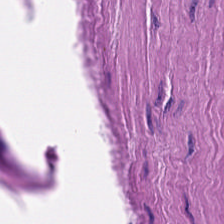H&E. {"tissue_type": "smooth-muscle tissue"}
